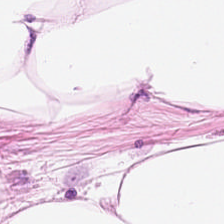Brightfield; hematoxylin-and-eosin stained section. Predominant tissue — fat tissue.
